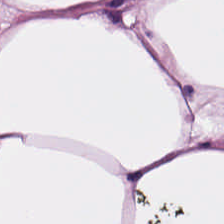Hematoxylin-and-eosin stained section — Impression — adipose tissue.
